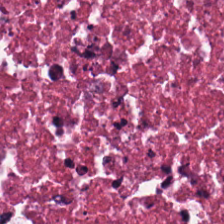H&E.
This patch shows cellular debris.
